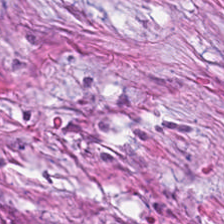Hematoxylin and eosin. Desmoplastic stroma.
